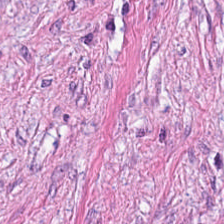Q: What is shown in this field?
A: It is cancer-associated stroma.
